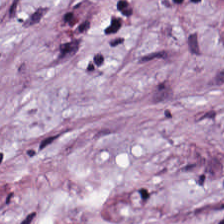H&E stain. The predominant tissue is tumor-associated stroma.
